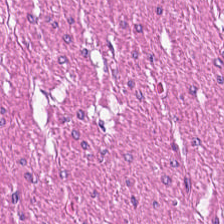Hematoxylin-and-eosin stained section · whole-slide-image patch · 224×224 pixel tile — Q: What tissue type is shown here?
A: This is smooth muscle.
